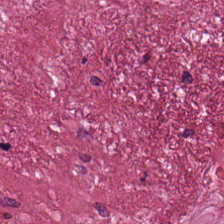H&E stain.
Q: What is shown here?
A: Tumor-associated stroma.
